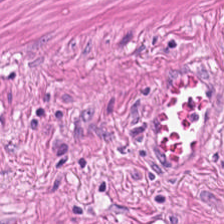0.5 µm/px. Whole-slide-image patch. Hematoxylin and eosin. Impression → smooth-muscle tissue.
